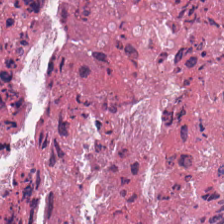224×224 pixel tile · H&E-stained tissue section — The predominant tissue is debris.
